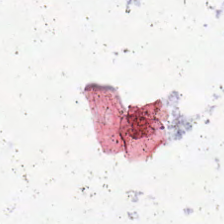H&E-stained tissue section. FFPE. Field content = no tissue.
